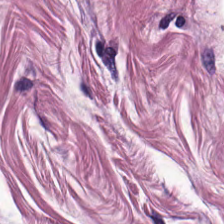H&E — {"tissue_type": "muscularis"}
